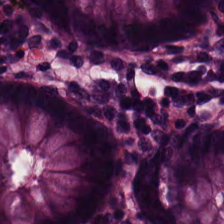Q: What is shown in this field?
A: Normal colonic mucosa.
